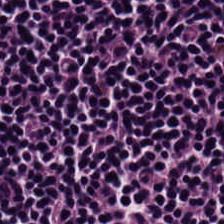Hematoxylin-and-eosin stained section. WSI patch. Histology — lymphoid infiltrate.
